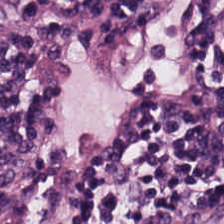Whole-slide-image patch; hematoxylin and eosin.
Q: Identify the tissue.
A: Lymphocyte aggregate.
